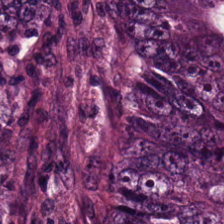H&E. FFPE. Brightfield microscopy — Finding — colorectal adenocarcinoma.
